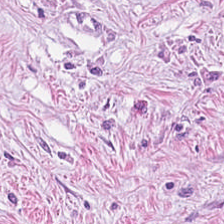Hematoxylin-and-eosin stained section. The predominant tissue is cancer-associated stroma.
